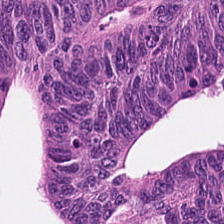H&E.
Tissue class: colorectal adenocarcinoma.
